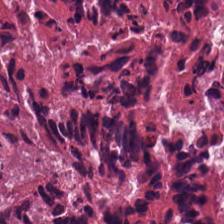Hematoxylin-and-eosin stained section — {"tissue_type": "necrotic debris"}
